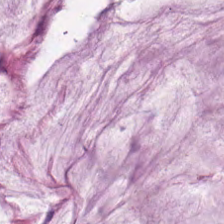Q: What is the predominant tissue type?
A: This is mucus.
